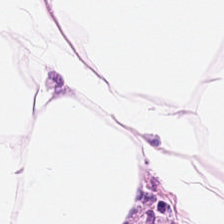H&E-stained tissue section.
Predominant tissue = adipocytes.
